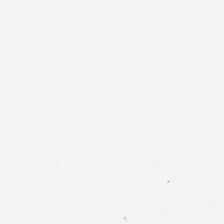Finding — empty background.
